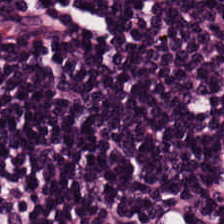H&E-stained tissue section.
Predominantly lymphocytic infiltrate.
